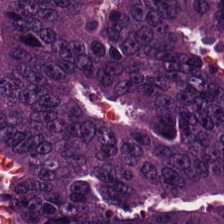0.5 µm per pixel. FFPE tissue section. Hematoxylin and eosin — This patch shows tumor epithelium.
